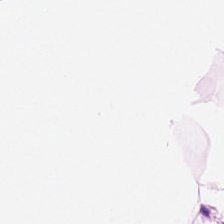H&E; formalin-fixed paraffin-embedded section. The predominant tissue is adipose.
